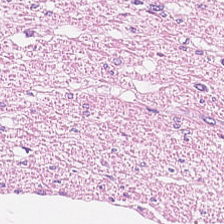Brightfield microscopy. Hematoxylin and eosin — Predominant tissue — muscularis.
